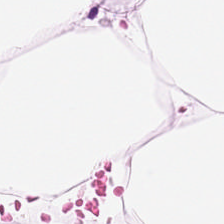Impression — adipose tissue.
